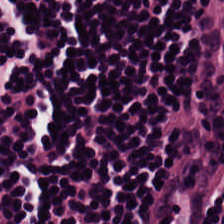H&E; 224×224 px tile; 20× equivalent magnification — The tissue type is lymphocyte aggregate.
